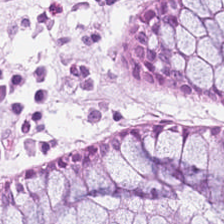Q: Identify the tissue.
A: Benign colonic mucosa.
